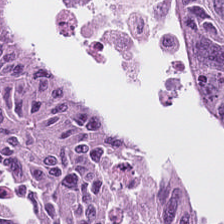20× equivalent magnification; hematoxylin and eosin. Classification — tumor epithelium.
